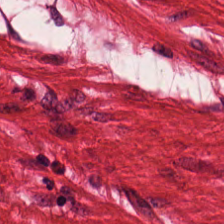Showing muscularis.
